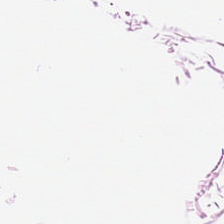Hematoxylin-and-eosin stained section. Impression — adipose tissue.
